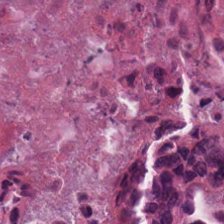H&E stain · 0.5 µm/px — The tissue here is debris.
